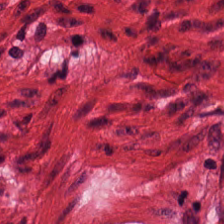Hematoxylin-and-eosin stained section. Q: What tissue is shown?
A: Smooth-muscle tissue.
